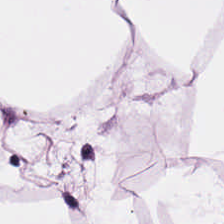224×224 px tile; H&E — {"tissue_type": "adipose"}
